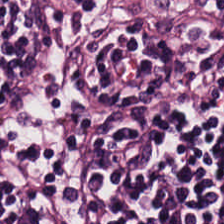The tissue here is lymphocytes.
